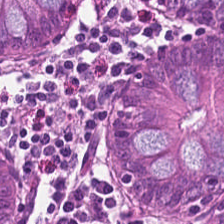Hematoxylin and eosin · 224×224 pixel tile — Predominantly normal colon mucosa.
